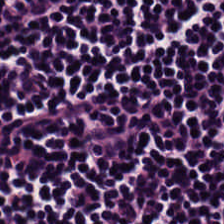H&E-stained tissue section. Predominant tissue — lymphocyte aggregate.
